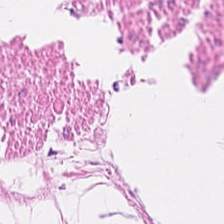H&E. Tissue — smooth-muscle tissue.
